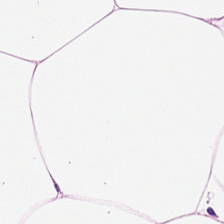Q: What is shown here?
A: It is adipocytes.
